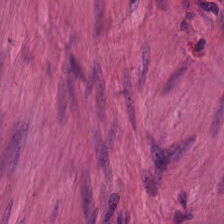0.5 microns per pixel; H&E-stained tissue section — Predominantly muscularis.
